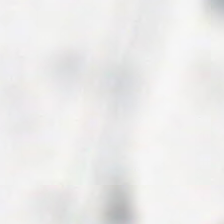FFPE; hematoxylin-and-eosin stained section. Q: What is shown in this field?
A: Background (no tissue).
